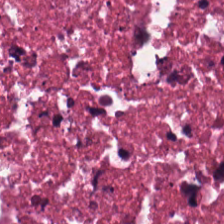H&E · 20× equivalent magnification.
The tissue here is necrotic debris.
